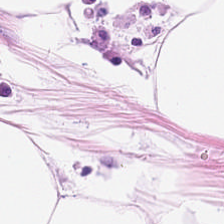0.5 microns per pixel. Hematoxylin-and-eosin stained section — This patch shows fat tissue.
